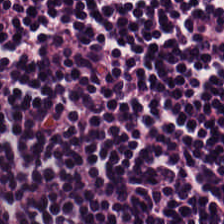H&E stain. Q: What is shown in this field?
A: This is lymphoid infiltrate.
